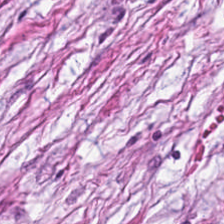H&E. The tissue type is tumor-associated stroma.
